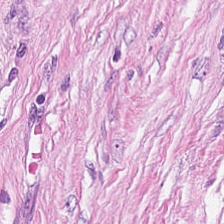Classification — tumor-associated stroma.
